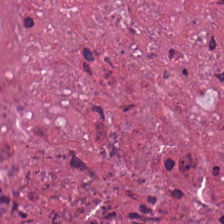H&E patch showing debris.
